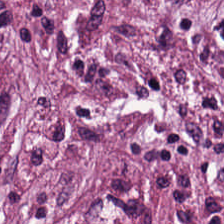H&E — Tissue class = tumor-associated stroma.
